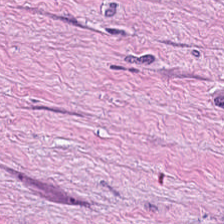224×224 px patch. H&E stain.
Q: Identify the tissue.
A: Tumor-associated stroma.
